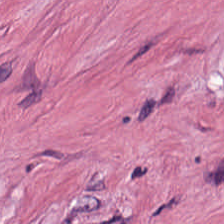{"tissue_type": "desmoplastic stroma"}
